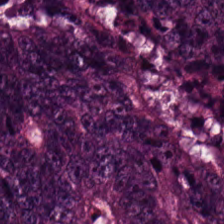Hematoxylin-and-eosin stained section · FFPE. This field is malignant epithelium.
